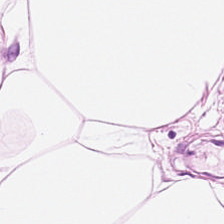H&E. Fat tissue.
